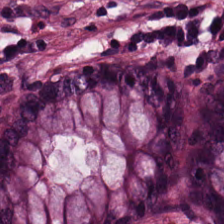The tissue is normal colon mucosa.
